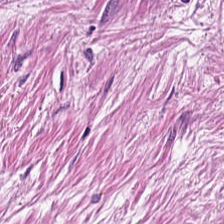Hematoxylin and eosin; WSI patch. Q: Classify this patch.
A: It is cancer-associated stroma.
